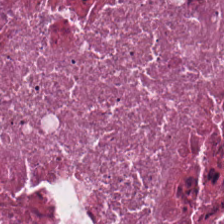H&E — Q: What is shown here?
A: Cellular debris.
